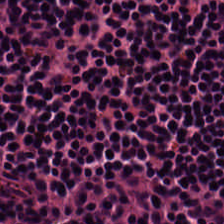H&E — Histology — lymphocytes.
